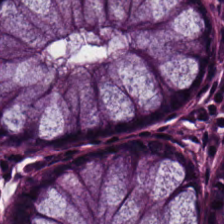Stain: H&E-stained tissue section.
Tissue: normal colon mucosa.
